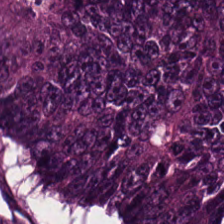Brightfield microscopy; H&E. Predominantly adenocarcinoma.
